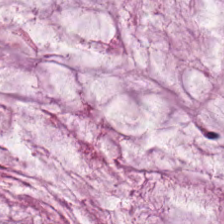H&E stain.
Q: What is shown in this field?
A: It is mucin.
